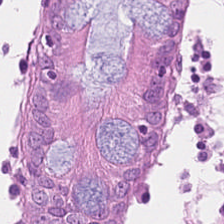WSI patch; hematoxylin-and-eosin stained section.
This patch shows normal colon mucosa.
